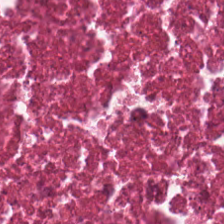H&E · FFPE.
Tissue class: debris.
